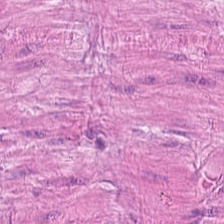H&E; 20× equivalent magnification.
Histology → smooth-muscle tissue.
